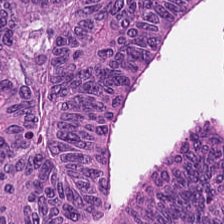H&E stain · 0.5 µm/px · 224×224 px tile.
Classification: tumor epithelium.
